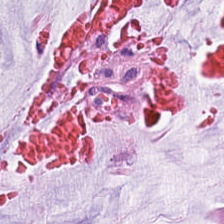H&E stain. 0.5 microns per pixel — Q: What type of tissue is this?
A: It is extracellular mucin.
